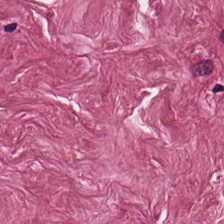Hematoxylin and eosin.
Finding → tumor-associated stroma.
